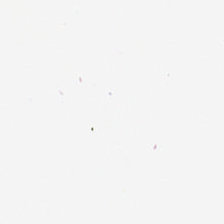H&E.
Field content: background.
